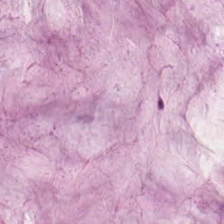H&E-stained tissue section; 224×224 pixel tile; 20× equivalent magnification. Predominantly mucin.
